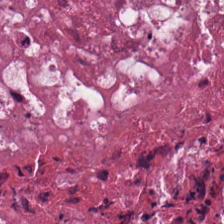H&E stain.
Impression → necrotic debris.
